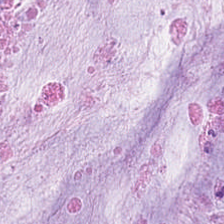Hematoxylin-and-eosin stained section — Tissue — mucin.
